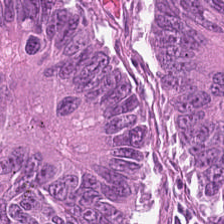H&E-stained tissue section showing adenocarcinoma.
